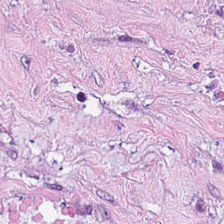H&E-stained section; the field shows tumor stroma.
